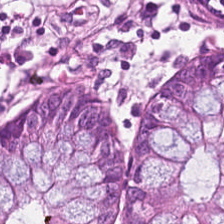The tissue type is normal colonic mucosa.
